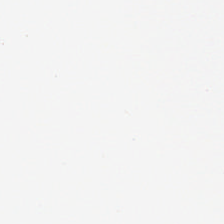224×224 px tile. H&E stain. 0.5 µm per pixel.
Empty field — empty background.
